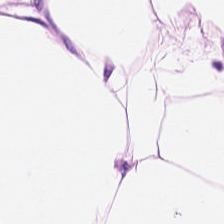H&E.
Fat tissue.
